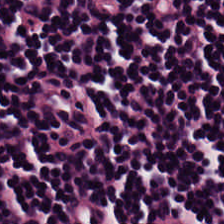H&E. Tissue type: lymphocyte aggregate.
